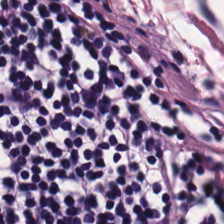H&E. Q: What is shown here?
A: The field shows lymphocytic infiltrate.
